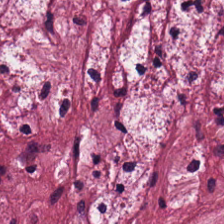Hematoxylin and eosin · 0.5 µm per pixel · 224×224 px tile — The predominant tissue is cancer-associated stroma.
